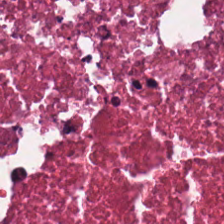Tissue class: cellular debris.
